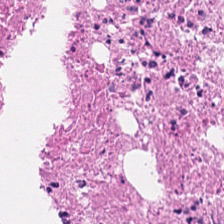FFPE tissue section. 0.5 microns per pixel. Hematoxylin-and-eosin stained section. This field is debris.
